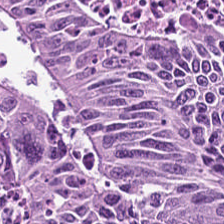The classification is adenocarcinoma.
